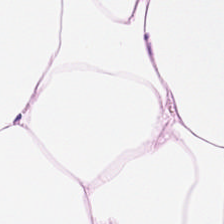Hematoxylin and eosin. Q: What is the predominant tissue type?
A: It is fat tissue.
